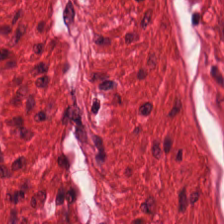H&E-stained tissue section. The tissue here is muscularis.
